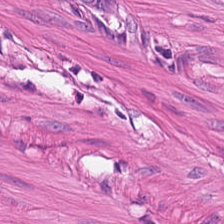This field is smooth-muscle tissue.
